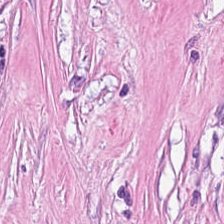The tissue type is tumor stroma.
